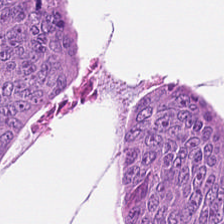224×224 px tile · H&E stain.
This patch shows colorectal adenocarcinoma.
